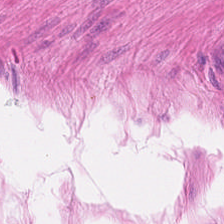Stain: H&E.
Acquisition: brightfield.
Resolution: 0.5 microns per pixel.
Tissue class: smooth muscle.
